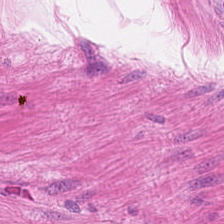Hematoxylin and eosin — The predominant tissue is smooth-muscle tissue.
